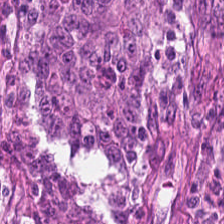WSI patch. H&E stain. The predominant tissue is colorectal adenocarcinoma.
